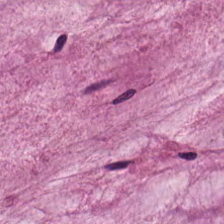H&E.
Histology → mucus.
